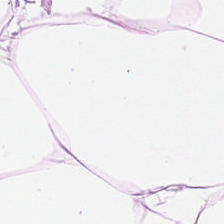Hematoxylin and eosin. Histology — adipose tissue.
